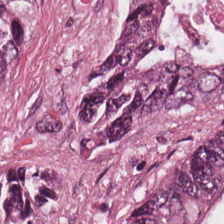224×224 pixel tile. 20× equivalent magnification. H&E-stained tissue section.
Classification = colorectal adenocarcinoma.
